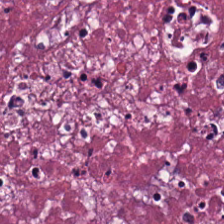H&E stain — Debris.
